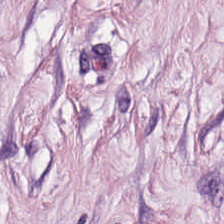Hematoxylin-and-eosin stained section.
Predominantly cancer-associated stroma.
